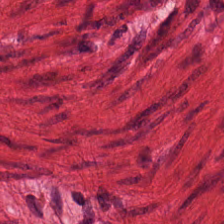Hematoxylin and eosin; 224×224 px patch — {"tissue_type": "smooth muscle"}
